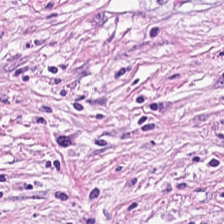{"tissue_type": "tumor stroma"}
